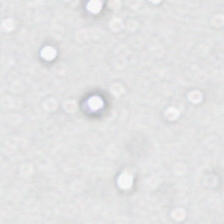Field content: empty background.
